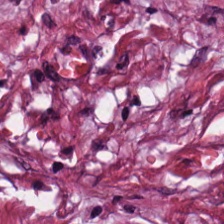H&E — desmoplastic stroma.
